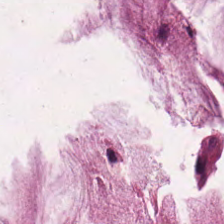Stain: H&E.
Resolution: 0.5 µm/px.
Tile size: 224×224 px tile.
Tissue type: mucus.
